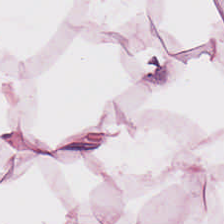Q: Classify this patch.
A: It is adipose tissue.
